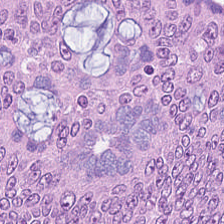Stain: H&E-stained tissue section.
Predominant tissue: colorectal adenocarcinoma epithelium.
